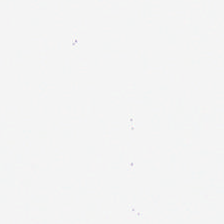Hematoxylin-and-eosin stained section — Impression — background.
